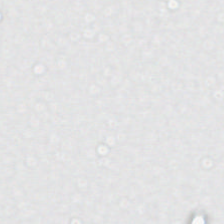Hematoxylin and eosin. No tissue present; background only.
